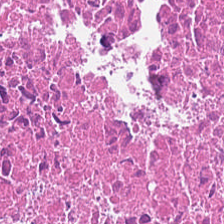Brightfield. H&E stain — Predominantly necrotic debris.
